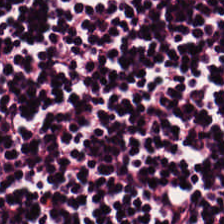Tissue type = lymphocytic infiltrate.
